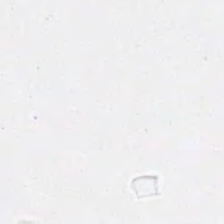H&E. Histology — empty background.
